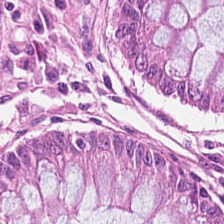Impression — normal colon mucosa.
